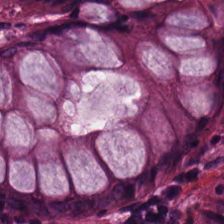Stain: H&E.
Predominant tissue: normal colon mucosa.
